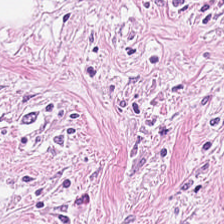H&E-stained tissue section; FFPE tissue section.
This patch shows tumor-associated stroma.
